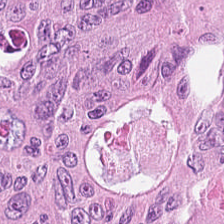H&E stain.
The classification is tumor epithelium.
